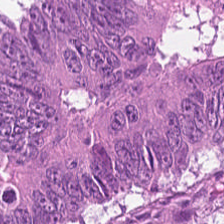H&E stain. Classification: adenocarcinoma.
